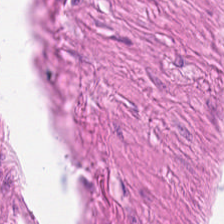H&E stain. Tissue class = smooth muscle.
